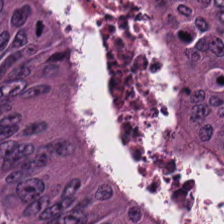Showing adenocarcinoma.
